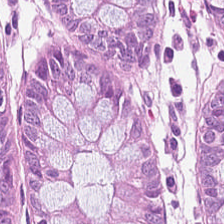H&E — Benign colonic mucosa.
